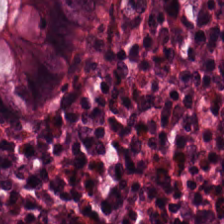Stain: H&E stain.
Acquisition: WSI patch.
Predominant tissue: normal colonic mucosa.
